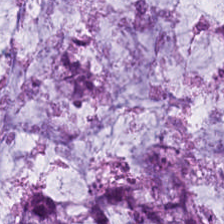Formalin-fixed paraffin-embedded section; H&E. Predominantly extracellular mucin.
